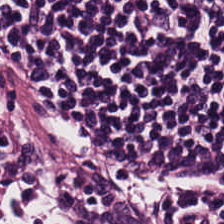H&E stain. The predominant tissue is lymphoid infiltrate.
